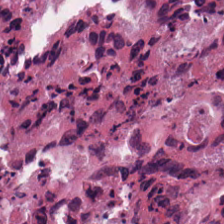H&E stain.
The tissue here is debris.
